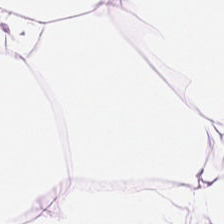H&E — This patch shows fat tissue.
